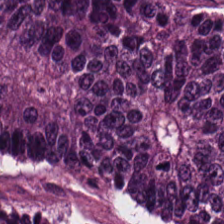Tissue type = adenocarcinoma.
